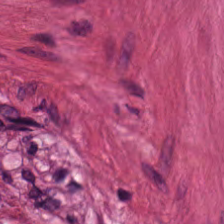FFPE. Hematoxylin-and-eosin stained section. Impression → muscularis.
